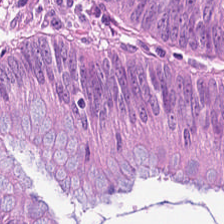0.5 microns per pixel. Hematoxylin-and-eosin stained section. Q: What is shown here?
A: This is adenocarcinoma.
